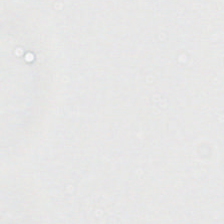This field is background (no tissue).
